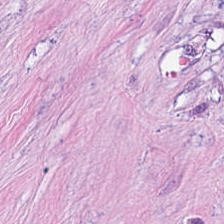Classification — tumor-associated stroma.
